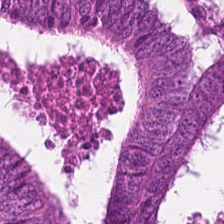WSI patch. 0.5 microns per pixel. Hematoxylin and eosin — This patch shows tumor epithelium.
